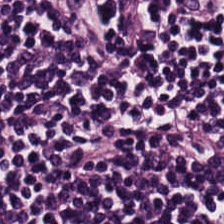FFPE · H&E · whole-slide-image patch.
This field is lymphoid infiltrate.
